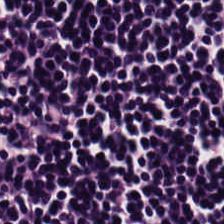Hematoxylin and eosin.
Q: What is shown here?
A: This is lymphocyte aggregate.
